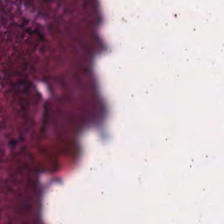Tissue = debris.
